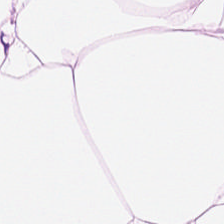Histology — adipocytes.
